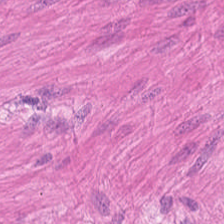Stain: H&E.
Tissue class: smooth-muscle tissue.
